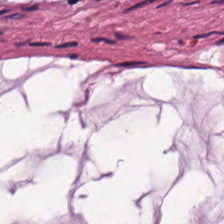H&E-stained tissue section — The tissue class is mucus.
